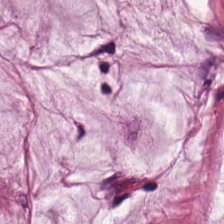Stain: H&E.
Predominant tissue: mucus.
